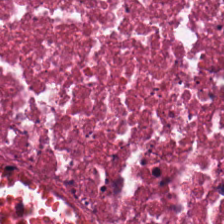H&E stain.
This patch shows cellular debris.
